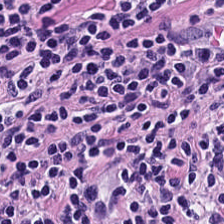224×224 px tile · hematoxylin and eosin · 20× equivalent magnification. The tissue here is lymphocytes.
